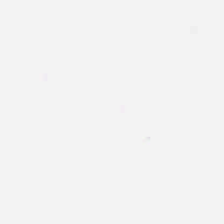Brightfield microscopy · H&E.
The classification is empty background.
